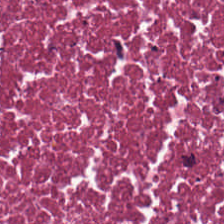H&E · 0.5 µm per pixel. Tissue class = debris.
